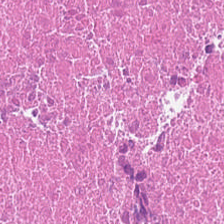H&E-stained tissue section — {"tissue_type": "necrotic debris"}
